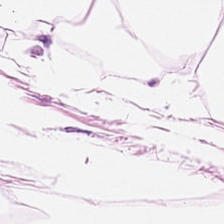H&E. 20× equivalent magnification — Predominant tissue = adipose tissue.
